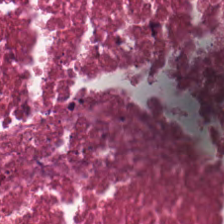Hematoxylin-and-eosin stained section. Brightfield. Showing necrotic debris.
